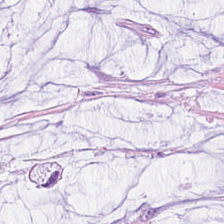The tissue here is mucus.
